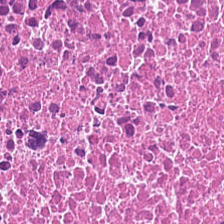H&E — debris.
